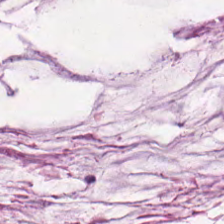Hematoxylin-and-eosin stained section · 20× equivalent magnification.
The classification is mucin.
